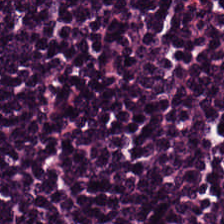H&E stain · 0.5 µm/px · 224×224 pixel tile. The predominant tissue is lymphocytic infiltrate.
